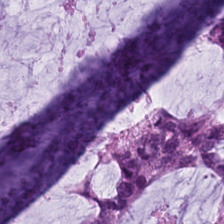H&E.
The tissue here is mucin.
